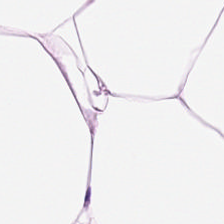H&E stain. Brightfield — Showing adipose tissue.
